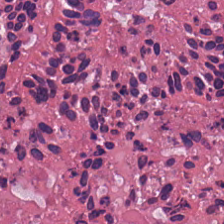Finding — cellular debris.
